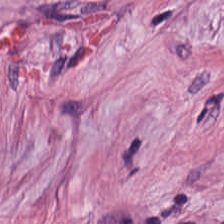Hematoxylin and eosin — The tissue is tumor-associated stroma.
